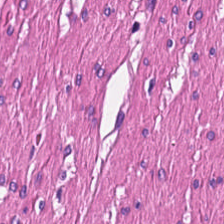Finding → smooth-muscle tissue.
